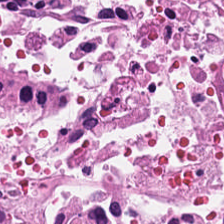Hematoxylin and eosin.
The tissue here is necrotic debris.
